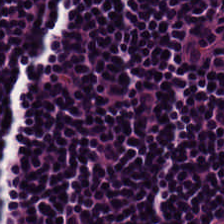{"tissue_type": "lymphoid infiltrate"}
